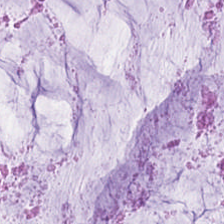Formalin-fixed paraffin-embedded section; hematoxylin and eosin; 224×224 pixel tile. Histology — mucin.
